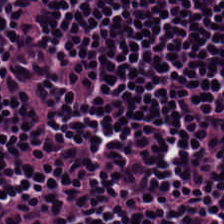Hematoxylin-and-eosin section: lymphocytes.
